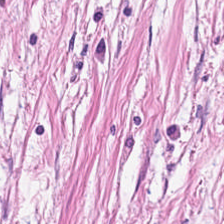Q: What tissue is shown?
A: The field shows tumor-associated stroma.
